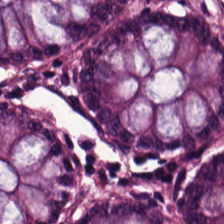H&E. 0.5 microns per pixel. FFPE — Benign colonic mucosa.
